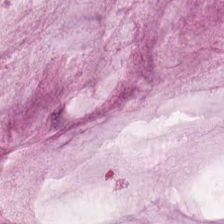H&E. FFPE tissue section. Q: Identify the tissue.
A: This is mucus.
